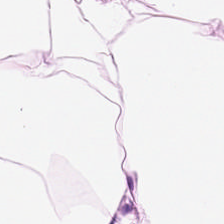H&E-stained tissue section. Tissue type: adipose.
